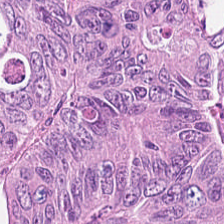Hematoxylin and eosin — Q: What is shown here?
A: The field shows malignant epithelium.
